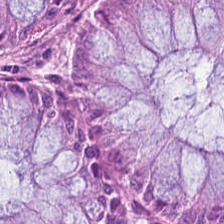Hematoxylin and eosin — Impression — normal colonic mucosa.
